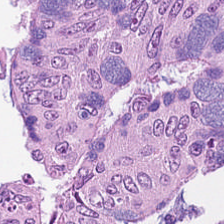Hematoxylin and eosin — {"tissue_type": "tumor epithelium"}
